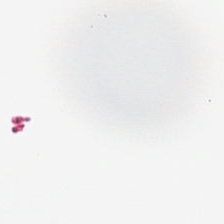H&E-stained tissue section · FFPE tissue section. Classification = no tissue.
